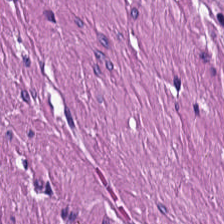Hematoxylin and eosin. This field is smooth-muscle tissue.
